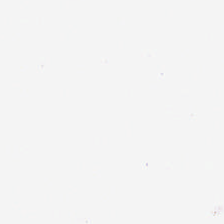Stain: hematoxylin and eosin.
Classification: background.
